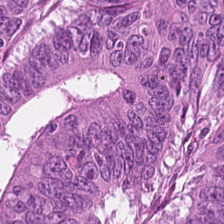Hematoxylin and eosin. The predominant tissue is colorectal adenocarcinoma.
